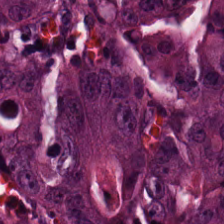Stain: hematoxylin-and-eosin stained section.
Tissue type: colorectal adenocarcinoma epithelium.
